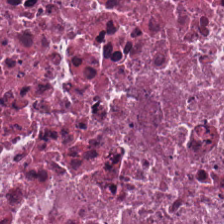Stain: H&E.
Tissue type: cellular debris.
